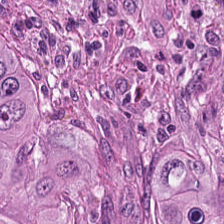H&E-stained tissue section showing tumor epithelium.
